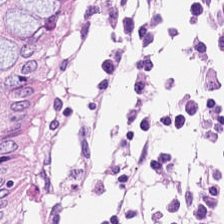H&E stain. 224×224 px tile. Predominantly normal colonic mucosa.
